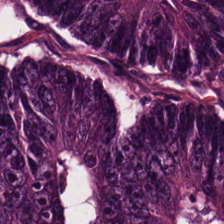Hematoxylin and eosin; brightfield microscopy; 224×224 pixel tile — This patch shows adenocarcinoma.
